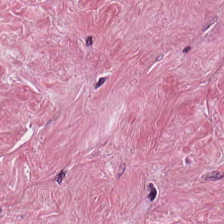Q: What is the predominant tissue type?
A: This is tumor stroma.
